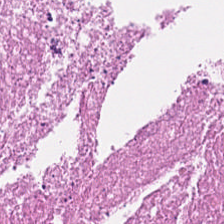Brightfield · H&E.
This patch shows cellular debris.
